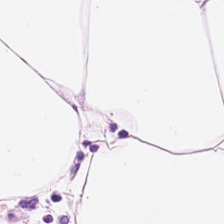FFPE tissue section. Hematoxylin-and-eosin stained section. 0.5 microns per pixel. {"tissue_type": "adipose tissue"}
